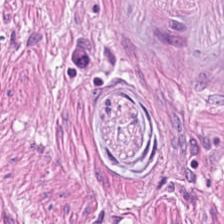Hematoxylin and eosin.
Impression → smooth-muscle tissue.
